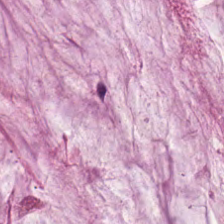H&E-stained tissue section — {"tissue_type": "mucus"}
